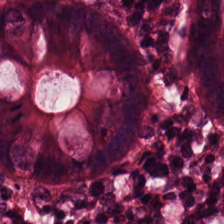224×224 px tile. Hematoxylin and eosin.
Tissue: non-neoplastic colon mucosa.
